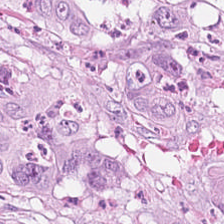Hematoxylin-and-eosin stained section.
Showing colorectal adenocarcinoma epithelium.
